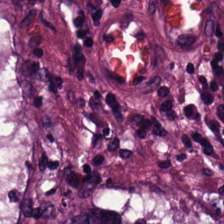H&E-stained tissue section — This field is malignant epithelium.
